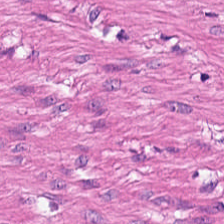H&E stain — This field is muscularis.
